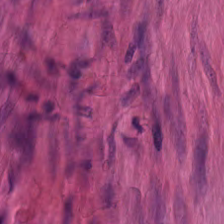0.5 µm/px. Hematoxylin-and-eosin stained section. Finding — smooth muscle.
